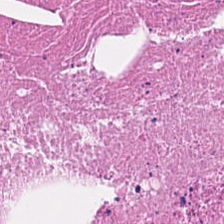0.5 µm per pixel. H&E. Formalin-fixed paraffin-embedded section. The tissue class is cellular debris.
